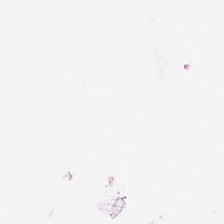224×224 px tile. H&E stain. Formalin-fixed paraffin-embedded section.
Q: What is shown in this field?
A: This is empty background.
